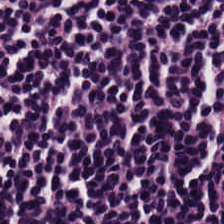Hematoxylin and eosin. Tissue type: lymphocytes.
